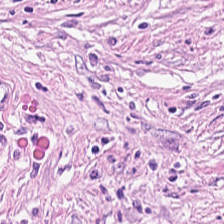H&E-stained tissue section showing tumor-associated stroma.
